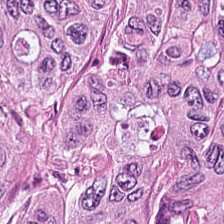The tissue is colorectal adenocarcinoma epithelium.
